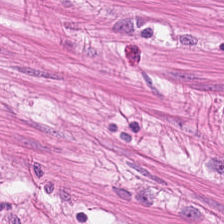H&E — Predominantly smooth-muscle tissue.
